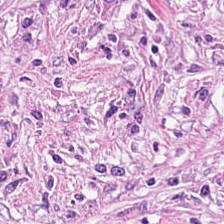Impression → desmoplastic stroma.
